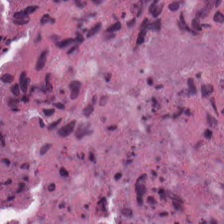H&E.
Predominantly necrotic debris.
